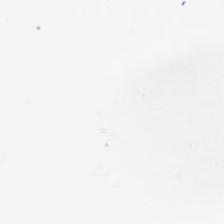H&E.
No tissue present; background only.
